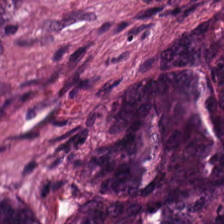H&E-stained tissue section · 224×224 pixel tile — {"tissue_type": "malignant epithelium"}
